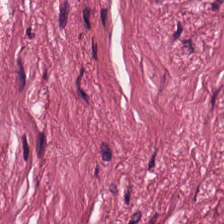FFPE · hematoxylin-and-eosin stained section · whole-slide-image patch — Q: What is shown here?
A: It is desmoplastic stroma.
